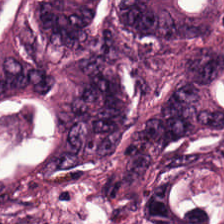Stain: H&E-stained tissue section.
Tissue type: tumor epithelium.
